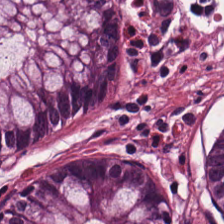This patch shows benign colonic mucosa.
